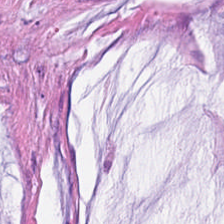Stain: H&E stain.
Resolution: 0.5 µm per pixel.
Tissue type: mucus.
